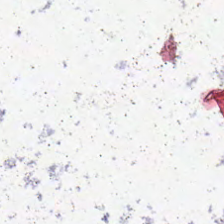20× equivalent magnification; hematoxylin-and-eosin stained section — Finding → background.
